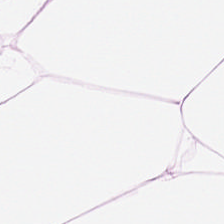H&E.
Tissue class: adipose tissue.
